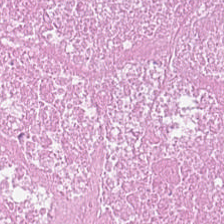224×224 px tile; 20× equivalent magnification; H&E — This patch shows cellular debris.
